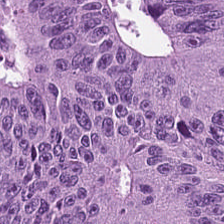H&E stain — Tissue type — tumor epithelium.
